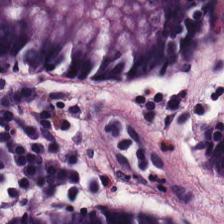Hematoxylin-and-eosin stained section — Predominantly non-neoplastic colon mucosa.
